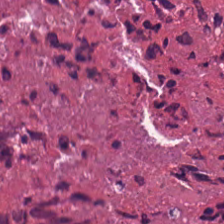224×224 px tile · formalin-fixed paraffin-embedded section · hematoxylin-and-eosin stained section. The tissue class is debris.
